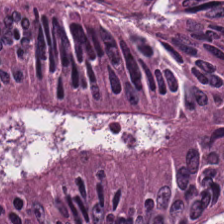224×224 px patch. Hematoxylin and eosin. Colorectal adenocarcinoma.
